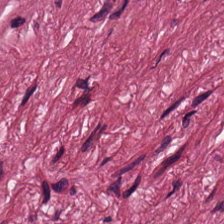H&E. Predominantly tumor stroma.
